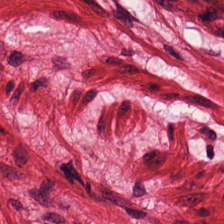0.5 µm per pixel; brightfield microscopy; H&E stain. Classification — smooth muscle.
